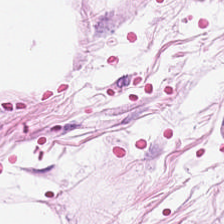Fat tissue.
